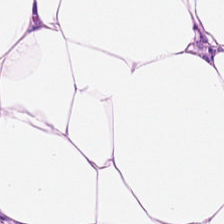H&E stain · 20× equivalent magnification · brightfield microscopy. Classification: adipose tissue.
